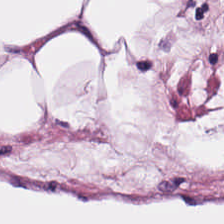Stain: H&E-stained tissue section.
Tile size: 224×224 px tile.
Predominant tissue: adipocytes.
